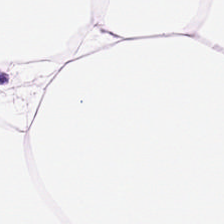H&E stain · 224×224 px tile · 0.5 µm per pixel.
Classification = fat tissue.
